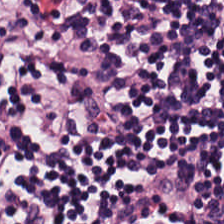Q: What type of tissue is this?
A: The field shows lymphocytic infiltrate.
